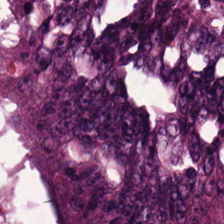Hematoxylin and eosin.
Predominant tissue — colorectal adenocarcinoma epithelium.
